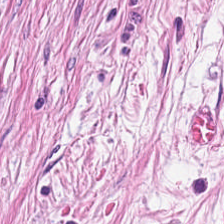Hematoxylin-and-eosin stained section · formalin-fixed paraffin-embedded section — This patch shows tumor-associated stroma.
